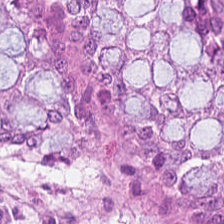Hematoxylin and eosin.
Classification = benign colonic mucosa.
